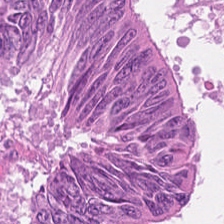FFPE tissue section · hematoxylin-and-eosin stained section.
Classification = colorectal adenocarcinoma.
